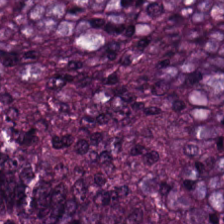H&E patch showing malignant epithelium.
